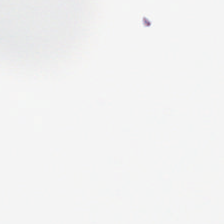H&E stain — This patch shows background.
